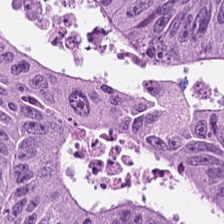Whole-slide-image patch; hematoxylin-and-eosin stained section.
Q: What is the predominant tissue type?
A: This is malignant epithelium.
